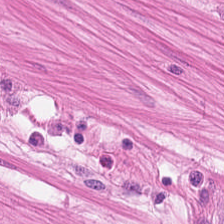H&E patch showing smooth muscle.
